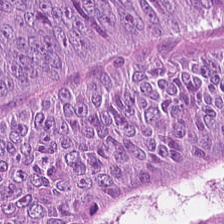H&E — colorectal adenocarcinoma epithelium.
